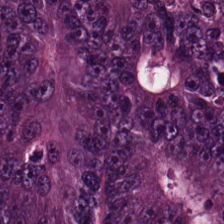WSI patch; hematoxylin and eosin — Q: What is the predominant tissue type?
A: The field shows tumor epithelium.
